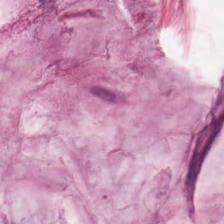Hematoxylin and eosin.
Predominantly mucin.
